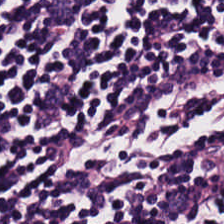This field is lymphoid infiltrate.
